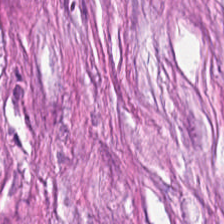Hematoxylin-and-eosin section: tumor stroma.
